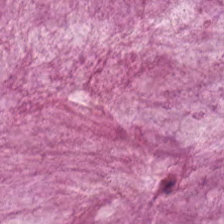H&E stain. Brightfield microscopy. FFPE tissue section.
The tissue class is mucus.
